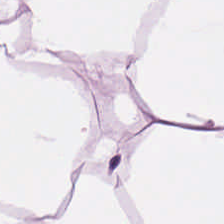Q: Identify the tissue.
A: This is fat tissue.
